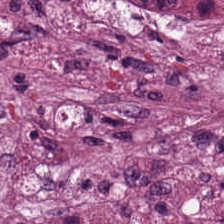224×224 pixel tile · hematoxylin and eosin — The predominant tissue is tumor-associated stroma.
